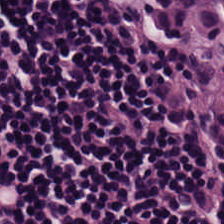Hematoxylin-and-eosin stained section. {"tissue_type": "lymphocytic infiltrate"}
